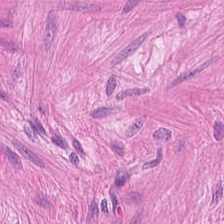Brightfield microscopy. 0.5 microns per pixel. H&E stain — Impression — smooth muscle.
